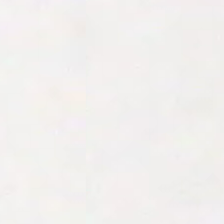Empty field — background.
